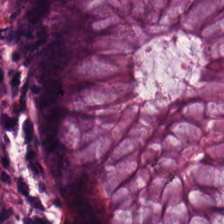H&E-stained tissue section · whole-slide-image patch. The tissue here is benign colonic mucosa.
